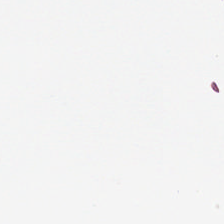{"content": "background"}
